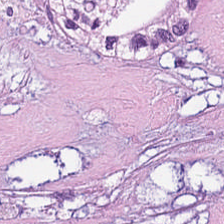0.5 µm/px · hematoxylin-and-eosin stained section — Q: What is shown here?
A: The field shows cellular debris.
